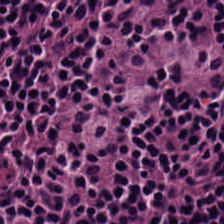Stain: hematoxylin-and-eosin stained section.
Tissue class: lymphocytic infiltrate.
